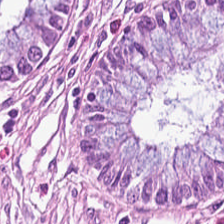Predominant tissue: benign colonic mucosa.
